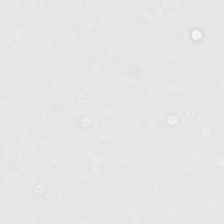20× equivalent magnification. Hematoxylin and eosin.
Q: What does this patch show?
A: The field shows no tissue.
